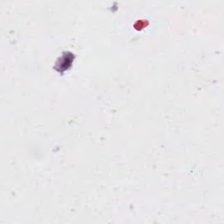20× equivalent magnification · hematoxylin-and-eosin stained section · 224×224 px tile.
Content = no tissue.
